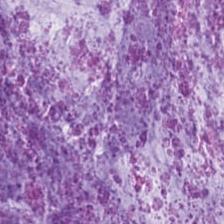20× equivalent magnification; H&E.
Q: What type of tissue is this?
A: Extracellular mucin.
